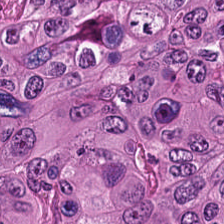The predominant tissue is adenocarcinoma.
